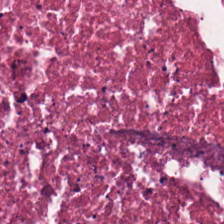Q: What is shown here?
A: It is cellular debris.
